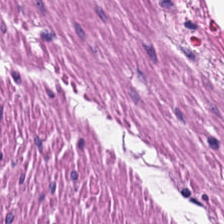{"tissue_type": "smooth-muscle tissue"}
